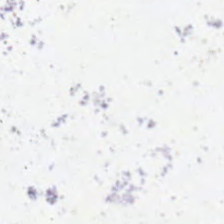Stain: hematoxylin and eosin.
Preparation: FFPE.
Acquisition: brightfield microscopy.
Content: background (no tissue).
